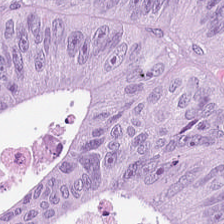Classification = colorectal adenocarcinoma epithelium.
